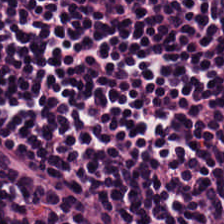The tissue type is lymphocytes.
